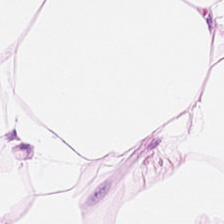H&E. Predominantly adipose.
